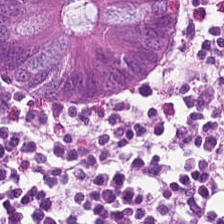Classification: normal colonic mucosa.
